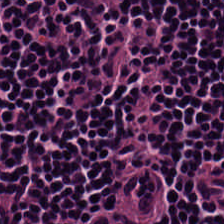Predominantly lymphocytic infiltrate.
